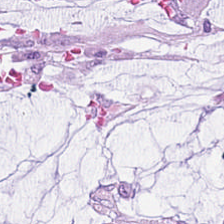H&E stain; 224×224 px patch — {"tissue_type": "mucin"}
